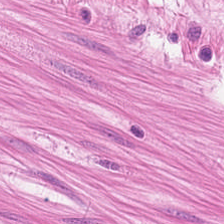H&E. The tissue here is smooth muscle.
